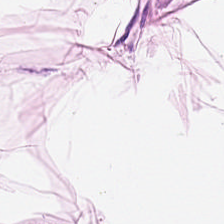H&E.
Showing adipose.
